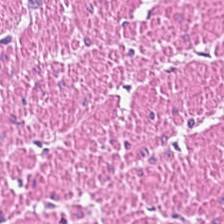Hematoxylin and eosin · 224×224 px tile. Q: What is shown in this field?
A: This is muscularis.
